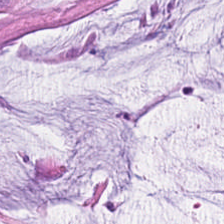H&E-stained tissue section · FFPE. Q: What is the predominant tissue type?
A: The field shows mucin.
